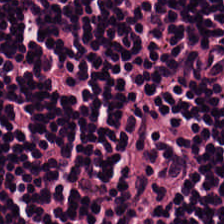Stain: H&E stain.
Classification: lymphoid infiltrate.
